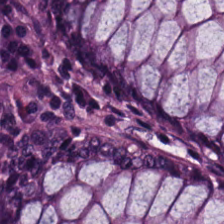Tissue class — normal colonic mucosa.
